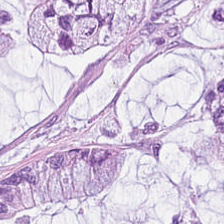The predominant tissue is extracellular mucin.
